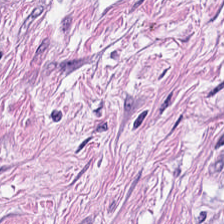0.5 microns per pixel. H&E-stained tissue section. Tissue class — smooth-muscle tissue.
